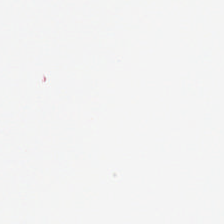Field content = background.
